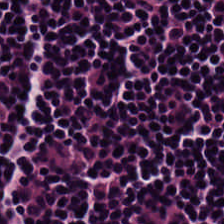Hematoxylin and eosin · whole-slide-image patch — Showing lymphoid infiltrate.
